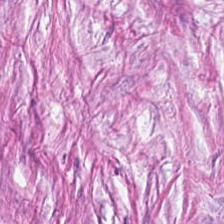H&E stain — Q: What is shown in this field?
A: Desmoplastic stroma.
